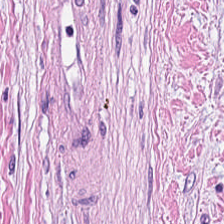Hematoxylin and eosin.
Tissue type: tumor-associated stroma.
